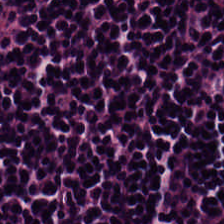{"tissue_type": "lymphocyte aggregate"}
